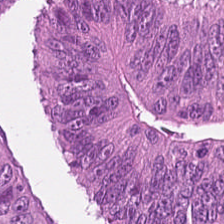H&E stain.
Predominantly colorectal adenocarcinoma epithelium.
